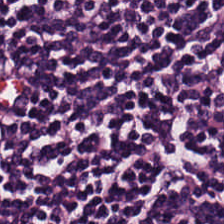H&E. Predominant tissue = lymphocytic infiltrate.
